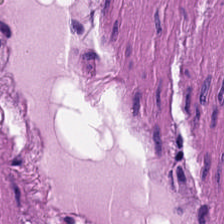The classification is smooth-muscle tissue.
